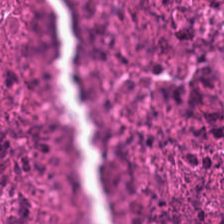Stain: H&E.
Tissue: necrotic debris.
